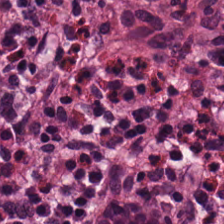H&E.
The tissue class is normal colon mucosa.
